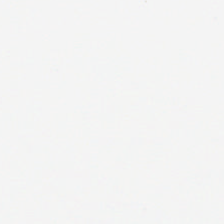H&E-stained tissue section · 224×224 px patch. This patch shows background.
